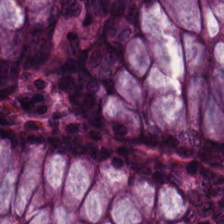Stain: H&E-stained tissue section.
Preparation: FFPE.
Acquisition: brightfield.
Predominant tissue: normal colon mucosa.
